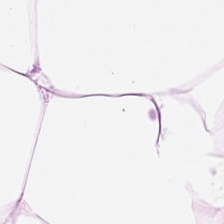H&E — adipocytes.
